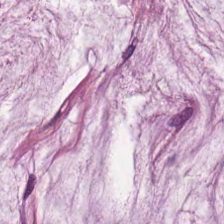Brightfield microscopy. H&E stain. Mucus.
